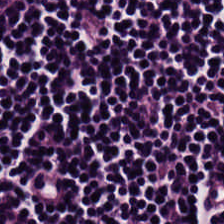H&E — Finding → lymphocyte aggregate.
